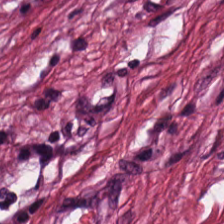Tissue type = tumor stroma.
